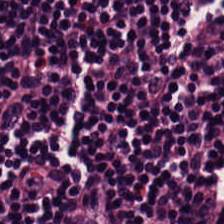H&E-stained tissue section · 20× equivalent magnification. The predominant tissue is lymphocytic infiltrate.
